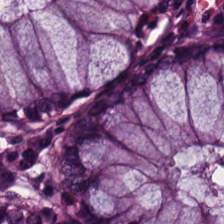Stain: H&E-stained tissue section.
Acquisition: brightfield microscopy.
Tile size: 224×224 px patch.
Tissue: normal colon mucosa.
